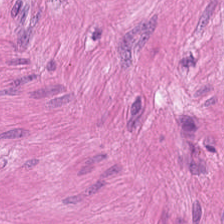Showing smooth muscle.
